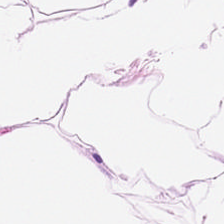H&E-stained tissue section; 224×224 px tile. Showing adipose tissue.
